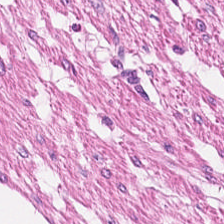H&E-stained tissue section.
Q: Identify the tissue.
A: It is smooth-muscle tissue.
